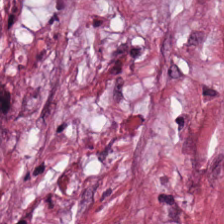0.5 microns per pixel · hematoxylin-and-eosin stained section — Classification — tumor-associated stroma.
